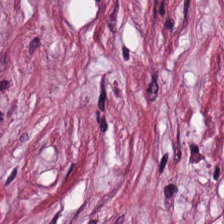Hematoxylin-and-eosin stained section.
Tissue — tumor stroma.
